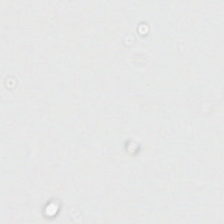FFPE · H&E stain · brightfield microscopy. Field content = background.
